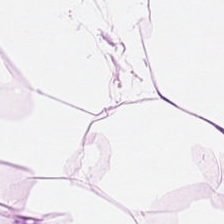H&E — Q: What tissue is shown?
A: The field shows adipocytes.
